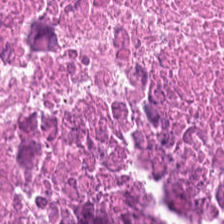Stain: hematoxylin-and-eosin stained section.
Tissue: debris.
